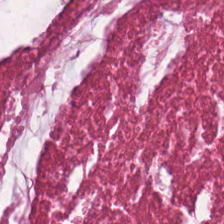H&E-stained tissue section. 20× equivalent magnification.
Debris.
